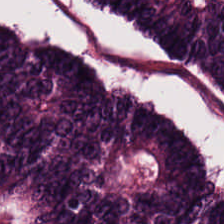H&E stain; FFPE.
{"tissue_type": "colorectal adenocarcinoma"}
